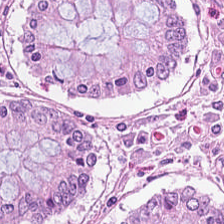H&E-stained tissue section — Tissue = normal colon mucosa.
